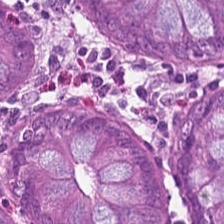Hematoxylin and eosin — Tissue — benign colonic mucosa.
